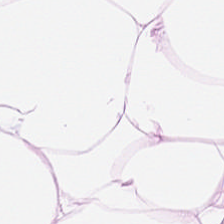Hematoxylin-and-eosin stained section — Showing fat tissue.
